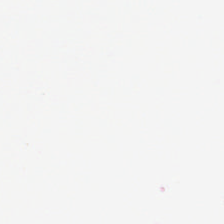H&E stain. Content: background.
